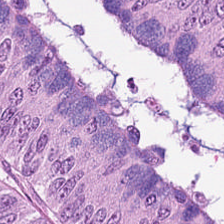H&E; formalin-fixed paraffin-embedded section — The tissue type is colorectal adenocarcinoma epithelium.
